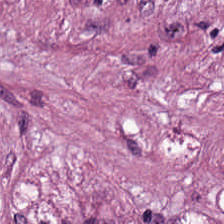Stain: H&E stain.
Acquisition: WSI patch.
Classification: cancer-associated stroma.
